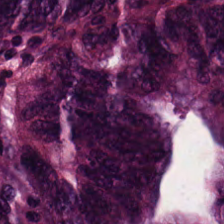Hematoxylin-and-eosin stained section. {"tissue_type": "colorectal adenocarcinoma"}
